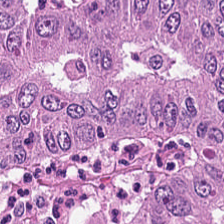Hematoxylin and eosin. Predominantly colorectal adenocarcinoma.
